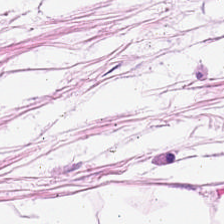{"tissue_type": "adipocytes"}
